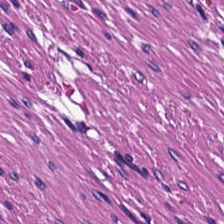Hematoxylin-and-eosin stained section. Smooth muscle.
